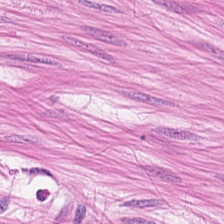Brightfield microscopy · H&E-stained tissue section · 224×224 px tile — Finding — smooth-muscle tissue.
